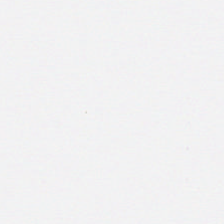H&E-stained tissue section.
Background — no tissue in this field.
